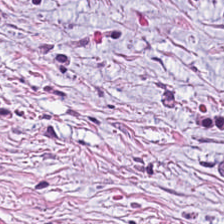Hematoxylin-and-eosin stained section.
Showing cancer-associated stroma.
